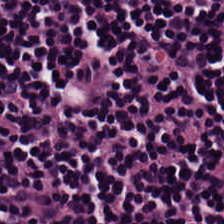Brightfield microscopy. 0.5 µm/px. H&E.
Q: What is the predominant tissue type?
A: Lymphocyte aggregate.
